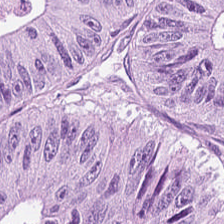Stain: H&E.
Tissue: malignant epithelium.
